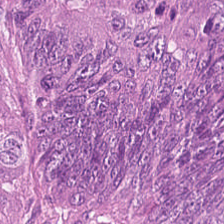Q: What type of tissue is this?
A: This is colorectal adenocarcinoma epithelium.
